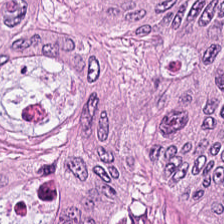The predominant tissue is colorectal adenocarcinoma.
